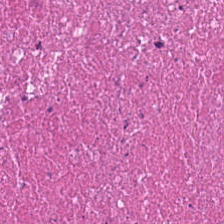WSI patch. Hematoxylin and eosin — Tissue type = debris.
